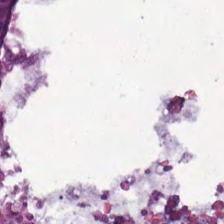Showing malignant epithelium.
